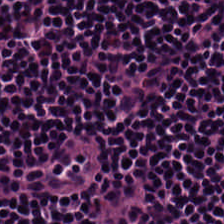H&E-stained tissue section. The tissue here is lymphocytic infiltrate.
